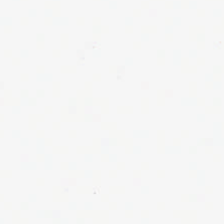This field is background (no tissue).
